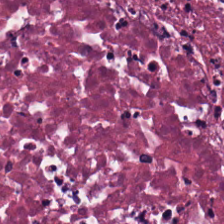H&E-stained tissue section. Q: What tissue is shown?
A: This is debris.
